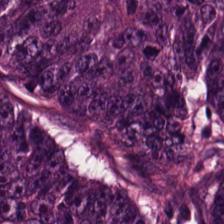Hematoxylin-and-eosin stained section — Predominant tissue — malignant epithelium.
